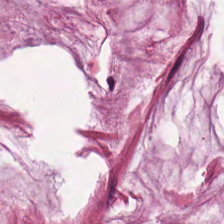H&E — Q: What does this patch show?
A: It is extracellular mucin.
